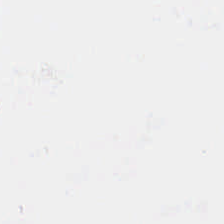Q: What is shown here?
A: This is empty background.
